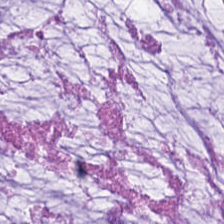H&E.
{"tissue_type": "mucin"}
